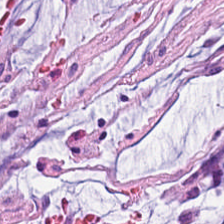Stain: H&E.
Preparation: FFPE.
Classification: mucus.
